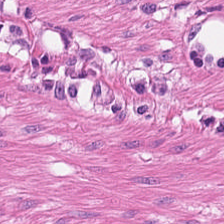Hematoxylin-and-eosin section: muscularis.
